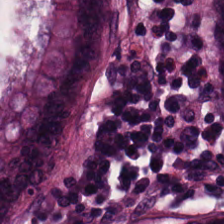H&E-stained tissue section — The predominant tissue is non-neoplastic colon mucosa.
